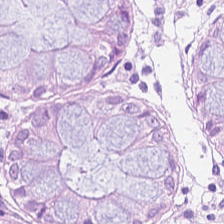H&E. The tissue here is benign colonic mucosa.
